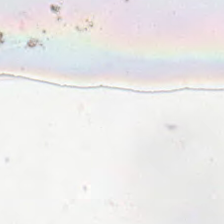Whole-slide-image patch; H&E stain. Background — no tissue in this field.
